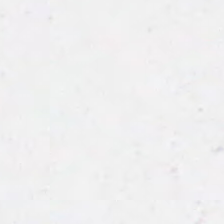Stain: H&E stain.
Field content: no tissue.
